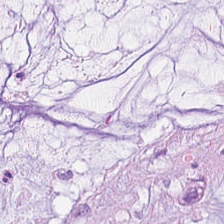Hematoxylin-and-eosin section: mucus.
